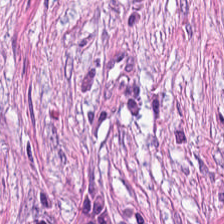0.5 µm per pixel; hematoxylin-and-eosin stained section — Q: What type of tissue is this?
A: Desmoplastic stroma.
